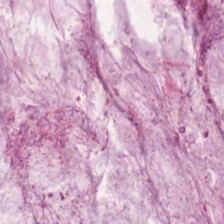H&E stain. This field is extracellular mucin.
